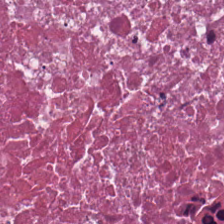Q: What is the predominant tissue type?
A: It is debris.
